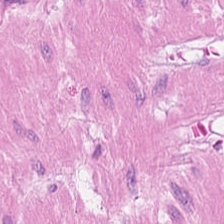FFPE tissue section. Hematoxylin-and-eosin stained section. The tissue class is muscularis.
